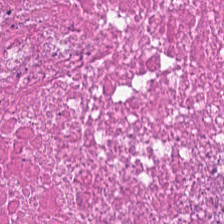Predominant tissue: cellular debris.
